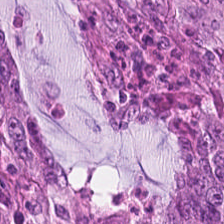H&E stain — Predominantly adenocarcinoma.
